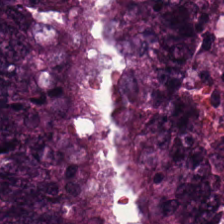Hematoxylin-and-eosin stained section. 224×224 px patch. This field is colorectal adenocarcinoma.
